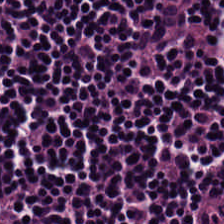20× equivalent magnification · hematoxylin and eosin · FFPE tissue section — The predominant tissue is lymphocytic infiltrate.
